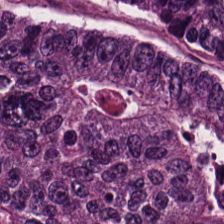Hematoxylin-and-eosin stained section — {"tissue_type": "colorectal adenocarcinoma epithelium"}
